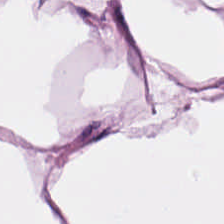H&E. The tissue is adipose tissue.
